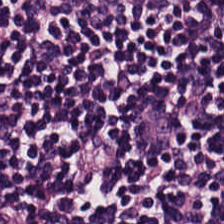H&E-stained tissue section — Predominantly lymphoid infiltrate.
